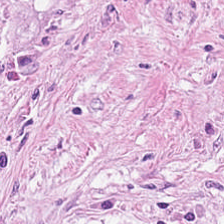Hematoxylin-and-eosin stained section; 224×224 px patch. Classification — desmoplastic stroma.
